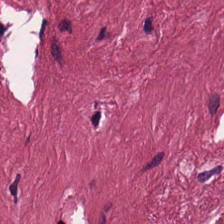The tissue is cancer-associated stroma.
